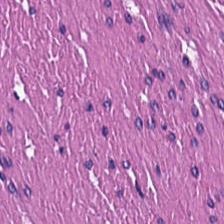H&E-stained tissue section.
This field is smooth-muscle tissue.
